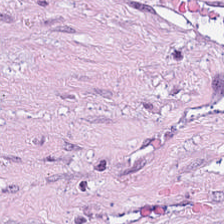H&E stain; 0.5 microns per pixel. Predominant tissue = cancer-associated stroma.
